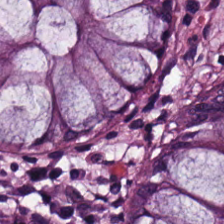H&E · formalin-fixed paraffin-embedded section · 224×224 px patch. Impression — non-neoplastic colon mucosa.
